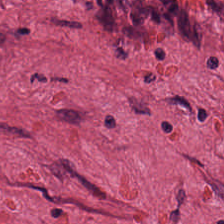WSI patch; hematoxylin-and-eosin stained section — The tissue is tumor-associated stroma.
